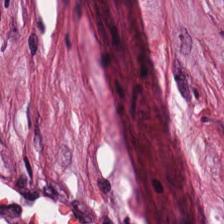Tissue class: desmoplastic stroma.
